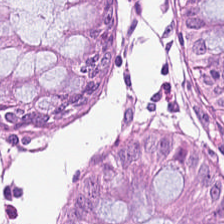The predominant tissue is normal colon mucosa.
